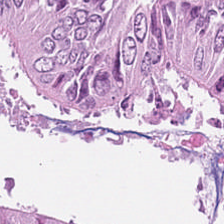Hematoxylin-and-eosin stained section. This patch shows adenocarcinoma.
